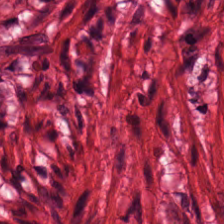H&E stain. 0.5 µm per pixel — Finding — muscularis.
